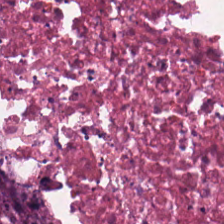Q: Classify this patch.
A: The field shows cellular debris.
